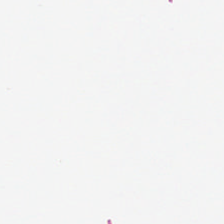Stain: hematoxylin and eosin.
Content: background (no tissue).
